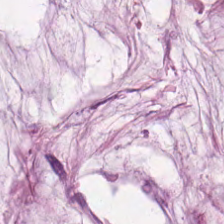0.5 µm/px; brightfield; H&E — Q: What does this patch show?
A: The field shows mucin.
